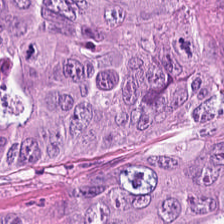The tissue type is colorectal adenocarcinoma.
